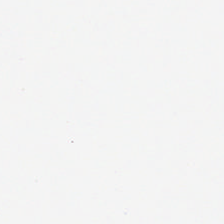Stain: hematoxylin and eosin.
Tile size: 224×224 px patch.
Acquisition: brightfield microscopy.
Field content: background.
